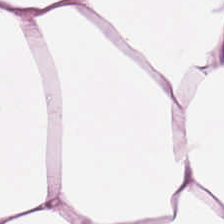Hematoxylin-and-eosin stained section — Classification — adipocytes.
